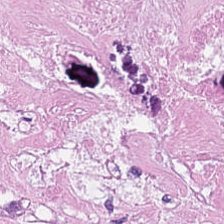H&E stain. Predominantly cellular debris.
